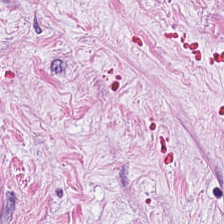Showing tumor stroma.
